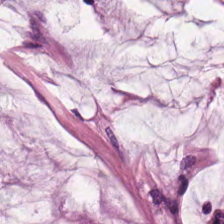H&E. 224×224 px tile.
Q: What is shown in this field?
A: This is mucin.
